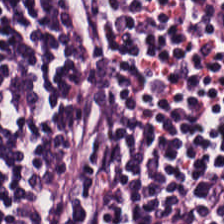Stain: hematoxylin and eosin.
Tissue class: lymphocytic infiltrate.
